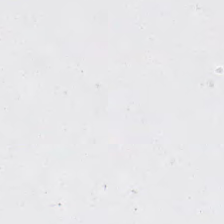Q: What is shown in this field?
A: It is background (no tissue).
